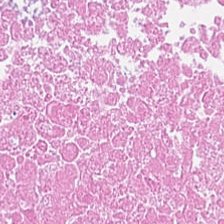Hematoxylin and eosin.
Tissue: necrotic debris.
